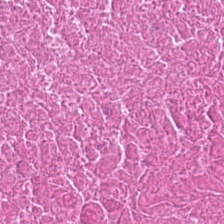Stain: H&E stain.
Tissue class: debris.
